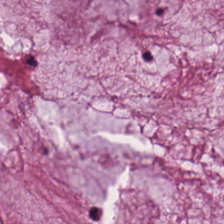Hematoxylin-and-eosin stained section. The tissue class is extracellular mucin.
